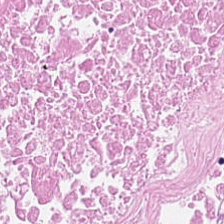Hematoxylin and eosin. The classification is necrotic debris.
